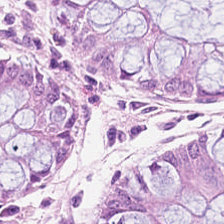Stain: hematoxylin and eosin.
Predominant tissue: benign colonic mucosa.
